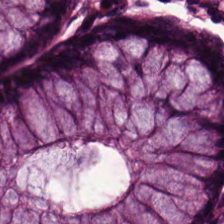H&E-stained tissue section — Predominantly benign colonic mucosa.
